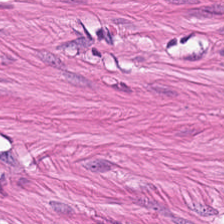Hematoxylin-and-eosin stained section; 224×224 px tile.
Predominant tissue = smooth-muscle tissue.
